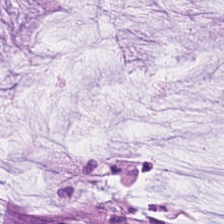Hematoxylin-and-eosin stained section.
The classification is mucus.
